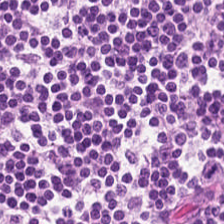Hematoxylin-and-eosin stained section.
Classification — lymphocyte aggregate.
